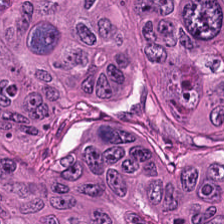Stain: H&E-stained tissue section.
Classification: colorectal adenocarcinoma epithelium.
